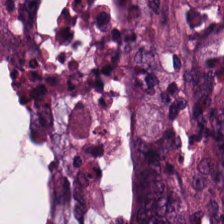WSI patch; H&E-stained tissue section. The tissue is colorectal adenocarcinoma epithelium.
